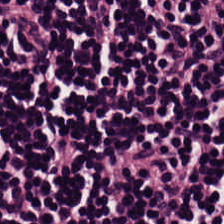0.5 microns per pixel · hematoxylin and eosin. This patch shows lymphoid infiltrate.
